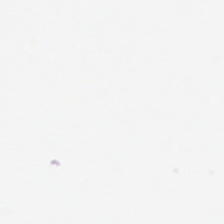0.5 µm/px. FFPE. Hematoxylin-and-eosin stained section.
Background — no tissue in this field.
